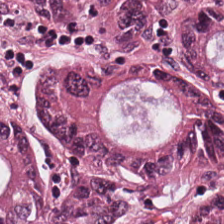Stain: H&E-stained tissue section.
Predominant tissue: colorectal adenocarcinoma.
